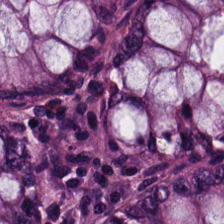H&E.
Predominant tissue — benign colonic mucosa.
